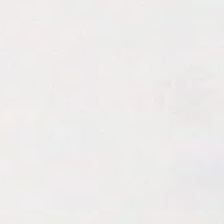H&E. Field content: background (no tissue).
